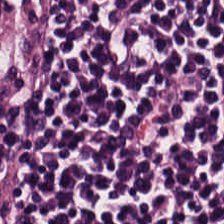Tissue = lymphocyte aggregate.
